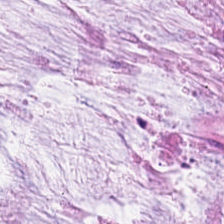Stain: hematoxylin-and-eosin stained section.
Classification: extracellular mucin.
